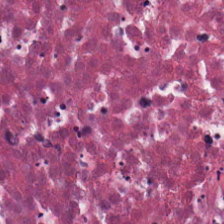Cellular debris.
